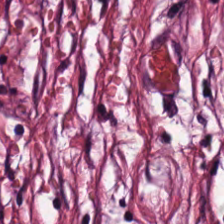H&E-stained tissue section. 224×224 px tile.
{"tissue_type": "tumor-associated stroma"}
